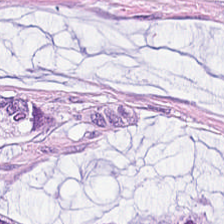H&E-stained tissue section.
Finding — mucin.
